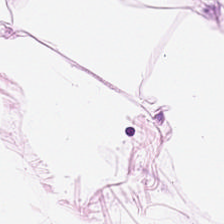Hematoxylin-and-eosin stained section — Classification = adipose tissue.
